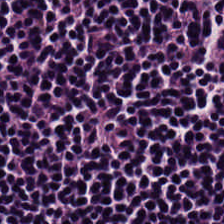Predominant tissue = lymphocytes.
